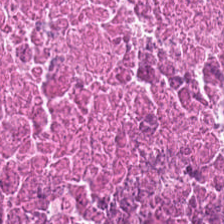Hematoxylin-and-eosin stained section.
This patch shows cellular debris.
